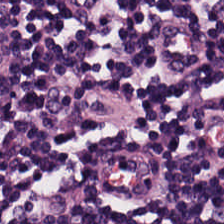H&E — lymphocytic infiltrate.
